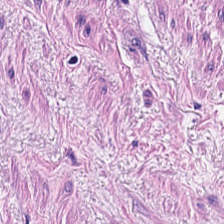Q: Classify this patch.
A: It is smooth-muscle tissue.
